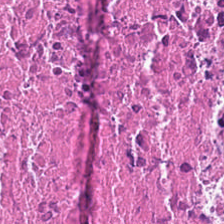Stain: H&E.
Acquisition: brightfield microscopy.
Tile size: 224×224 px patch.
Tissue type: debris.
